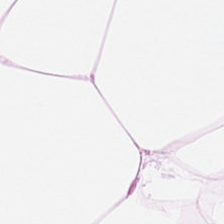H&E-stained section; the field shows fat tissue.
